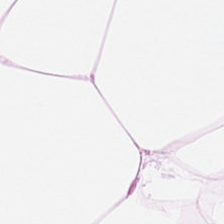H&E-stained section; the field shows fat tissue.
